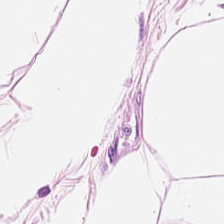FFPE · hematoxylin and eosin · 0.5 µm/px — This patch shows adipose.
